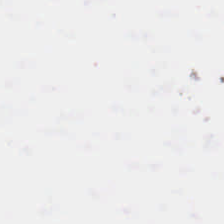H&E stain — Histology — background.
